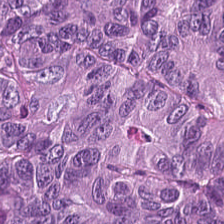Hematoxylin-and-eosin stained section; whole-slide-image patch.
Classification: tumor epithelium.
